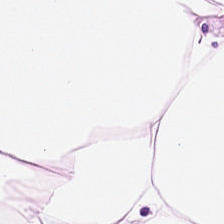Stain: hematoxylin and eosin.
Predominant tissue: adipose.
